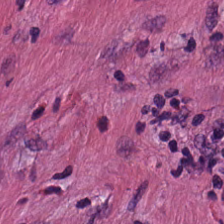The tissue here is desmoplastic stroma.
